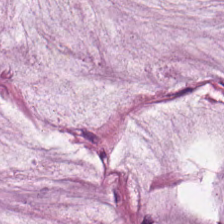H&E stain — {"tissue_type": "mucin"}
